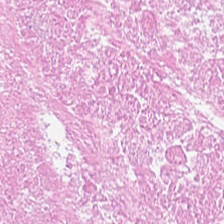H&E stain. Finding → necrotic debris.
